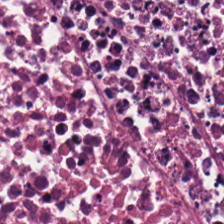0.5 µm per pixel · hematoxylin-and-eosin stained section · formalin-fixed paraffin-embedded section.
Histology — necrotic debris.
